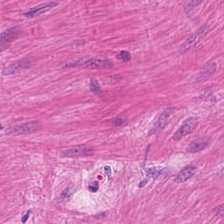Smooth-muscle tissue.
